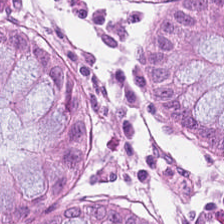Q: What is shown here?
A: This is benign colonic mucosa.
